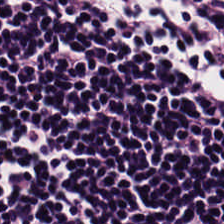Stain: hematoxylin-and-eosin stained section.
Preparation: formalin-fixed paraffin-embedded section.
Tissue type: lymphocytic infiltrate.
